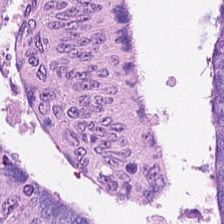H&E — Q: What is shown here?
A: Malignant epithelium.
